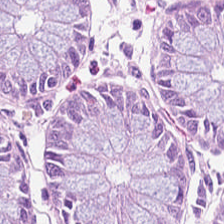H&E. Finding — non-neoplastic colon mucosa.
